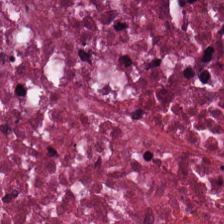Stain: hematoxylin-and-eosin stained section.
Classification: necrotic debris.
